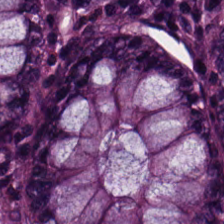Hematoxylin-and-eosin stained section.
This patch shows non-neoplastic colon mucosa.
